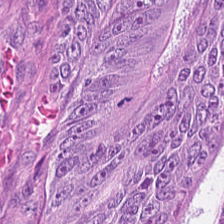Hematoxylin-and-eosin stained section — Predominant tissue = colorectal adenocarcinoma.
